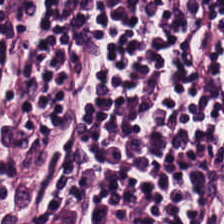H&E-stained tissue section.
The predominant tissue is lymphoid infiltrate.
